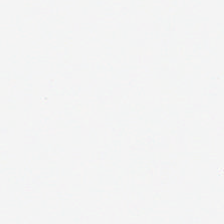Classification = empty background.
